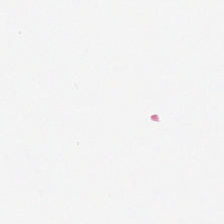224×224 px patch. H&E-stained tissue section.
Background — no tissue in this field.
